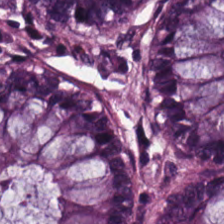H&E. This patch shows normal colonic mucosa.
